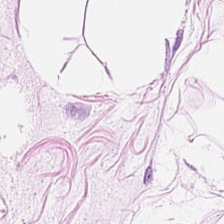Hematoxylin-and-eosin stained section. Predominantly fat tissue.
